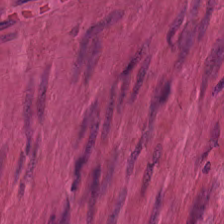Stain: hematoxylin and eosin.
Acquisition: brightfield.
Tissue: smooth-muscle tissue.
